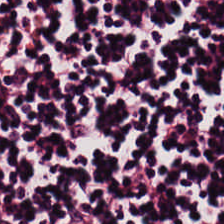H&E.
Showing lymphocyte aggregate.
